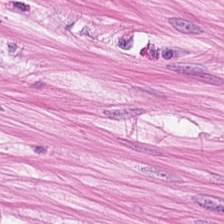Stain: H&E stain.
Tissue class: smooth muscle.
